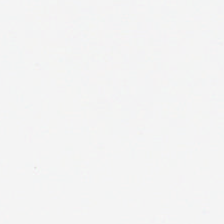H&E-stained tissue section.
Q: What is shown here?
A: The field shows background (no tissue).
